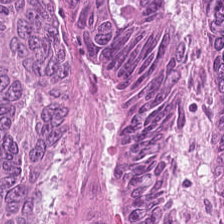H&E stain · FFPE — The tissue here is colorectal adenocarcinoma epithelium.
